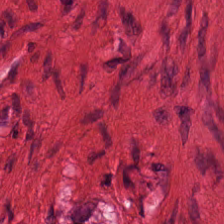H&E stain.
{"tissue_type": "smooth muscle"}
